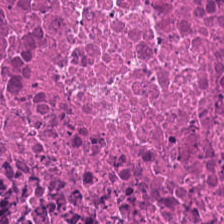Stain: H&E.
Tile size: 224×224 pixel tile.
Classification: necrotic debris.
